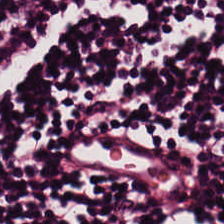Formalin-fixed paraffin-embedded section. Hematoxylin-and-eosin stained section — The tissue type is lymphocytic infiltrate.
